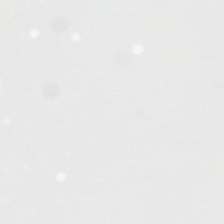Hematoxylin and eosin.
Finding — background.
